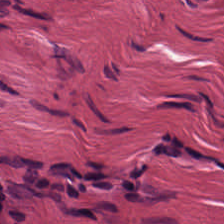224×224 px patch · H&E. The tissue type is tumor stroma.
